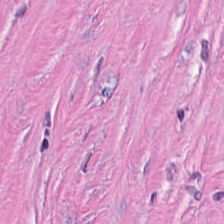Hematoxylin and eosin.
Histology — desmoplastic stroma.
